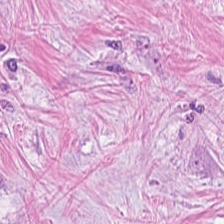WSI patch. H&E. 224×224 px patch.
The predominant tissue is tumor stroma.
